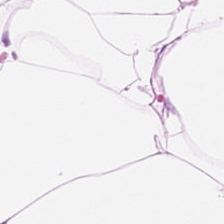H&E stain. 224×224 px patch. This field is adipocytes.
